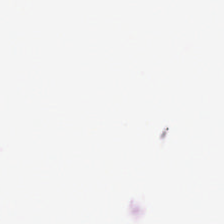H&E-stained tissue section; 224×224 px patch. Background — no tissue in this field.
